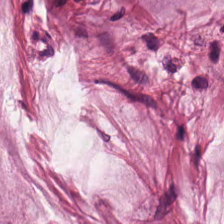0.5 µm per pixel · H&E stain · 224×224 px tile.
Predominantly mucin.
